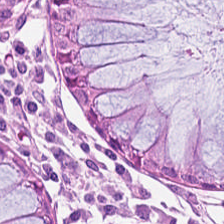H&E patch showing benign colonic mucosa.
